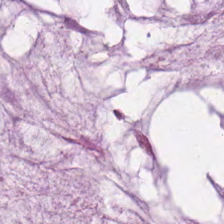Stain: H&E stain.
Preparation: FFPE.
Tissue: mucin.
